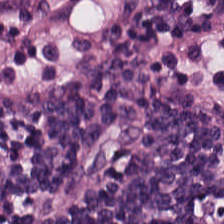H&E · WSI patch — Finding — lymphocytes.
